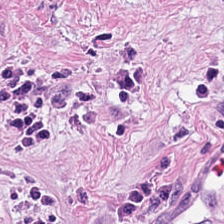Stain: H&E.
Preparation: FFPE.
Acquisition: whole-slide-image patch.
Tissue type: tumor stroma.
